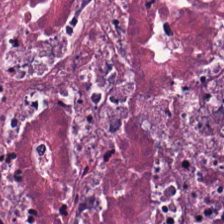H&E; whole-slide-image patch. The predominant tissue is debris.
